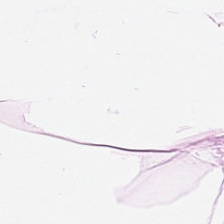H&E. 20× equivalent magnification. The tissue here is adipocytes.
